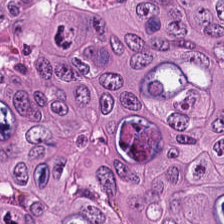FFPE tissue section. Hematoxylin-and-eosin stained section. Q: What does this patch show?
A: The field shows adenocarcinoma.
